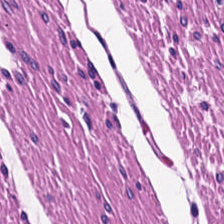224×224 pixel tile. H&E stain. Tissue type = smooth-muscle tissue.
